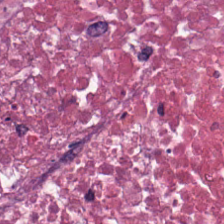Stain: H&E.
Tissue class: cellular debris.
